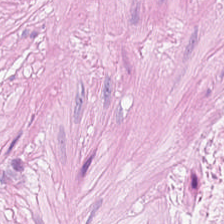Hematoxylin and eosin — Q: What does this patch show?
A: The field shows muscularis.
